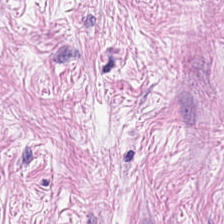Hematoxylin-and-eosin stained section · 224×224 px patch. The tissue class is tumor stroma.
